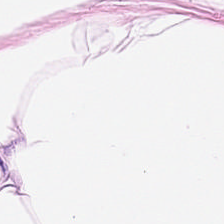H&E-stained tissue section. {"tissue_type": "fat tissue"}
